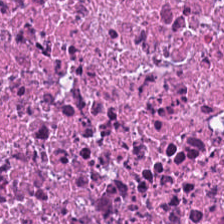224×224 px tile · H&E stain. Impression → debris.
